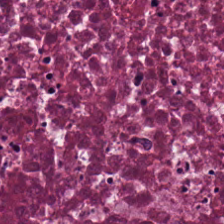Hematoxylin and eosin. Tissue class = necrotic debris.
